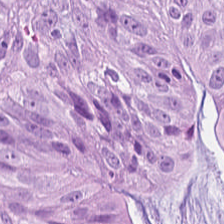Stain: hematoxylin-and-eosin stained section.
Resolution: 20× equivalent magnification.
Tissue: colorectal adenocarcinoma.
